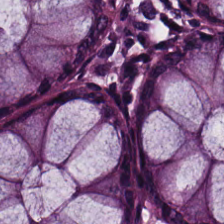0.5 µm/px. H&E stain. Whole-slide-image patch — Showing non-neoplastic colon mucosa.
